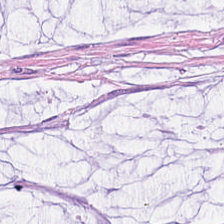H&E. Predominantly extracellular mucin.
